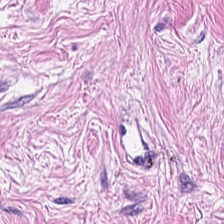Histology → tumor stroma.
